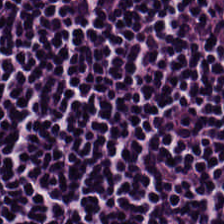H&E.
Showing lymphoid infiltrate.
